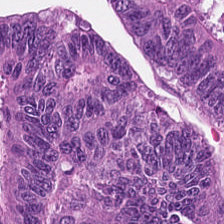Brightfield microscopy; 224×224 px patch; hematoxylin-and-eosin stained section.
Predominant tissue: colorectal adenocarcinoma.
